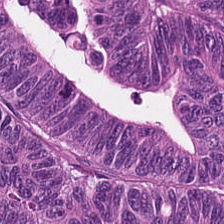0.5 µm per pixel; hematoxylin-and-eosin stained section. This patch shows colorectal adenocarcinoma epithelium.
